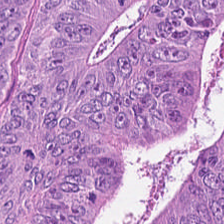WSI patch. H&E. FFPE — Tissue = colorectal adenocarcinoma.
